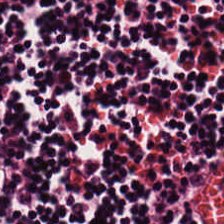Stain: hematoxylin and eosin.
Acquisition: brightfield.
Classification: lymphocytes.
